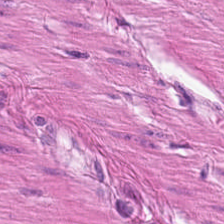H&E patch showing smooth-muscle tissue.
